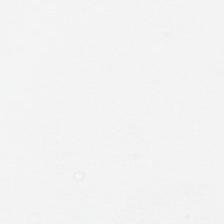Hematoxylin-and-eosin stained section. Q: What is shown in this field?
A: Background (no tissue).
